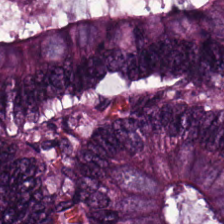Stain: H&E-stained tissue section.
Tissue type: adenocarcinoma.
